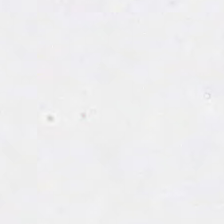Whole-slide-image patch; 0.5 µm per pixel; H&E-stained tissue section.
No tissue present; background only.
